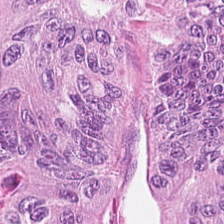Hematoxylin-and-eosin stained section.
Q: Classify this patch.
A: This is malignant epithelium.
